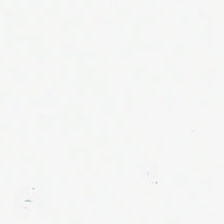Hematoxylin-and-eosin stained section. Q: Classify this patch.
A: This is background (no tissue).
